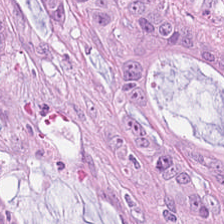Stain: H&E-stained tissue section.
Tile size: 224×224 pixel tile.
Tissue: colorectal adenocarcinoma.
